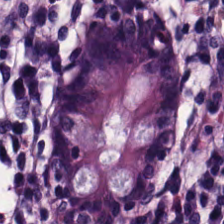H&E stain.
Non-neoplastic colon mucosa.
